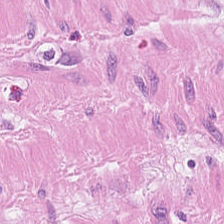H&E-stained tissue section. Tissue type: muscularis.
